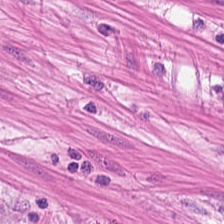Stain: hematoxylin-and-eosin stained section.
Predominant tissue: muscularis.
